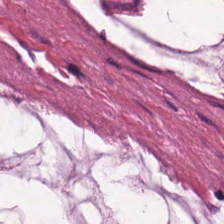H&E-stained tissue section — This patch shows extracellular mucin.
